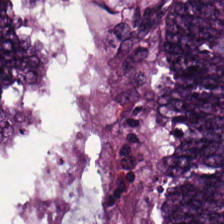H&E stain.
Classification = colorectal adenocarcinoma epithelium.
